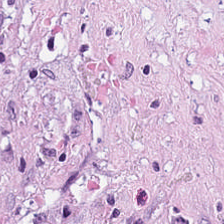H&E · 224×224 px patch — Tissue class: tumor stroma.
